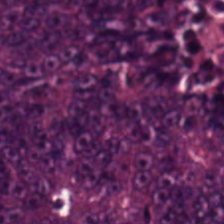H&E-stained tissue section. Q: Classify this patch.
A: The field shows tumor epithelium.
